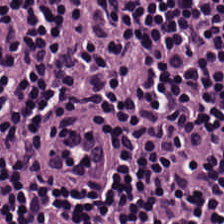The predominant tissue is lymphocyte aggregate.
